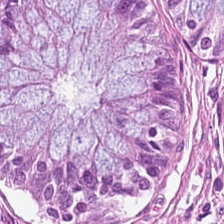Brightfield microscopy; 224×224 px tile; H&E stain.
Tissue: normal colonic mucosa.
